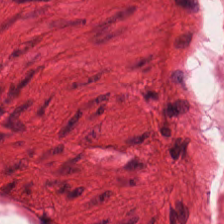H&E stain.
Predominantly smooth muscle.
